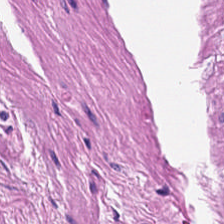Hematoxylin and eosin.
Classification = smooth muscle.
